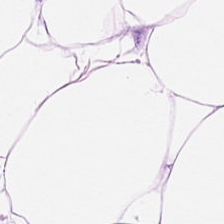H&E — adipocytes.
